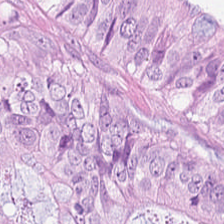Hematoxylin and eosin · 20× equivalent magnification.
Tissue class: malignant epithelium.
